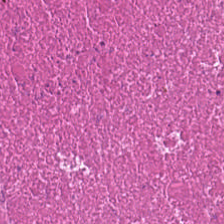0.5 microns per pixel; H&E; FFPE — The classification is cellular debris.
